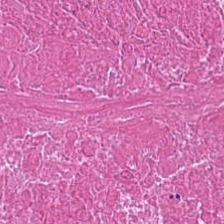H&E; 0.5 µm/px.
Debris.
